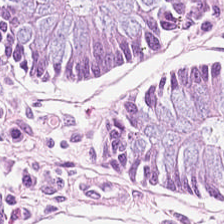H&E patch showing normal colon mucosa.
